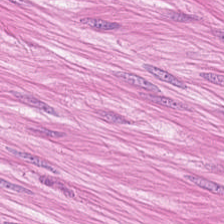Tissue class = smooth muscle.
